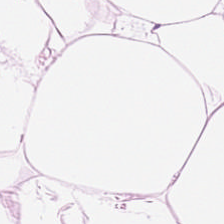H&E-stained tissue section. Q: What tissue is shown?
A: It is fat tissue.
